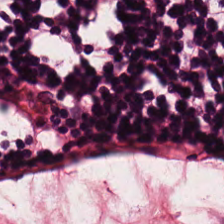Lymphocyte aggregate.
